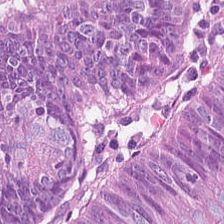Brightfield microscopy; H&E stain.
Tumor epithelium.
